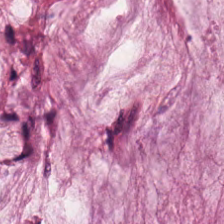H&E-stained tissue section.
The predominant tissue is extracellular mucin.
